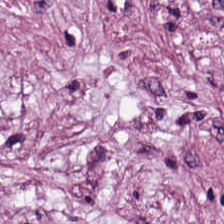Impression — cancer-associated stroma.
